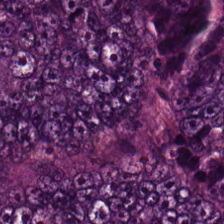FFPE; 224×224 pixel tile; hematoxylin and eosin — The predominant tissue is colorectal adenocarcinoma.
